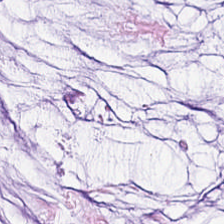H&E stain — {"tissue_type": "extracellular mucin"}
